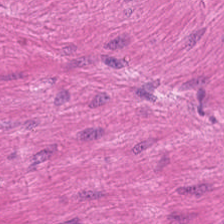The predominant tissue is smooth muscle.
